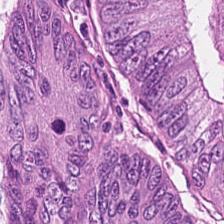Hematoxylin and eosin. This field is tumor epithelium.
